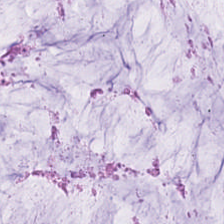H&E. FFPE.
Q: What does this patch show?
A: It is mucin.
